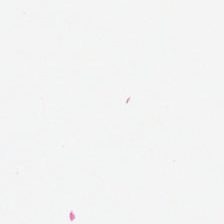Stain: H&E-stained tissue section.
Preparation: formalin-fixed paraffin-embedded section.
Field content: background.
